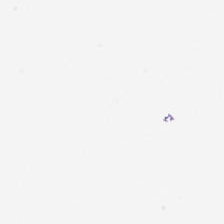H&E stain — Finding → background (no tissue).
